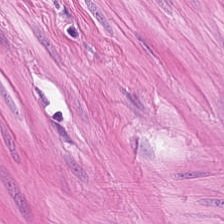0.5 µm per pixel · H&E.
Q: What does this patch show?
A: This is smooth muscle.
